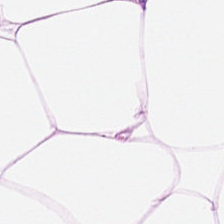The predominant tissue is adipocytes.
